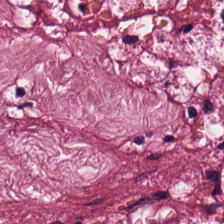H&E-stained tissue section.
Tumor stroma.
